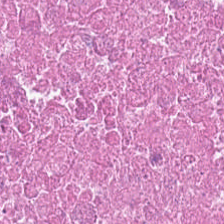Q: What does this patch show?
A: The field shows necrotic debris.
